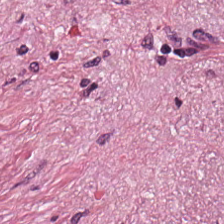Hematoxylin and eosin — Impression — tumor stroma.
